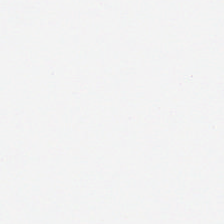H&E; 0.5 microns per pixel; 224×224 px patch. No tissue present; background only.
